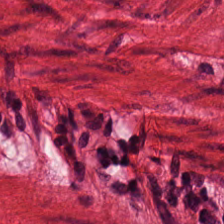H&E. Smooth-muscle tissue.
